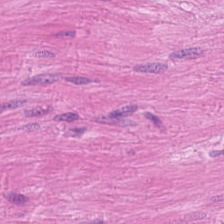Hematoxylin-and-eosin stained section · brightfield · FFPE tissue section — This field is smooth-muscle tissue.
